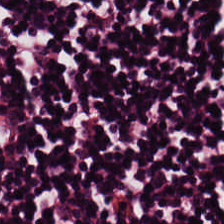Stain: H&E stain.
Classification: lymphocytic infiltrate.
